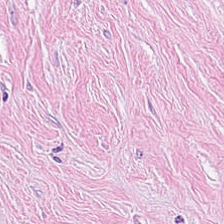H&E-stained tissue section — This patch shows tumor stroma.
